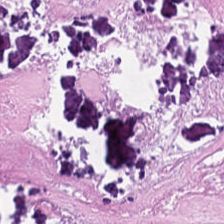H&E — necrotic debris.
